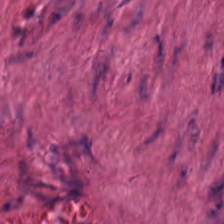H&E.
The tissue class is smooth-muscle tissue.
